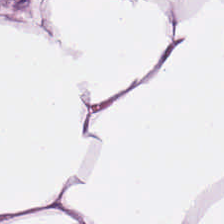Hematoxylin and eosin; 224×224 pixel tile.
Fat tissue.
